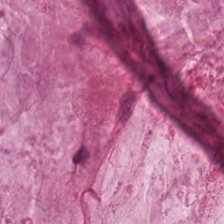Predominant tissue: extracellular mucin.
